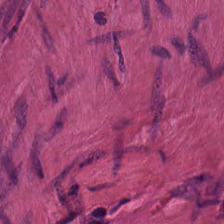H&E-stained tissue section. Brightfield — The tissue here is muscularis.
